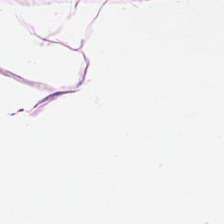20× equivalent magnification · H&E — Showing adipocytes.
